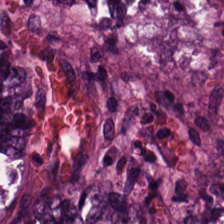H&E — malignant epithelium.
